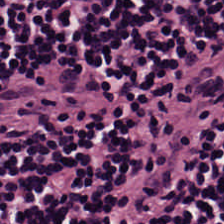Tissue type — lymphocytic infiltrate.
